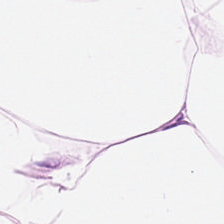Brightfield microscopy. 0.5 microns per pixel. H&E-stained tissue section.
The tissue type is adipose tissue.
